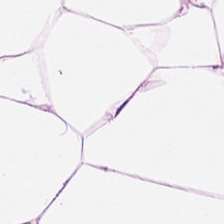H&E-stained section; the field shows adipose.
